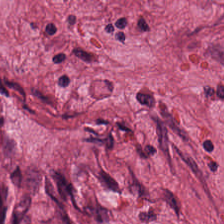Stain: H&E stain.
Resolution: 0.5 microns per pixel.
Classification: tumor-associated stroma.
